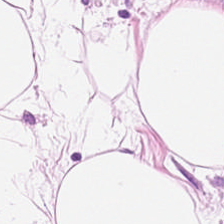Stain: hematoxylin and eosin.
Tissue class: fat tissue.
